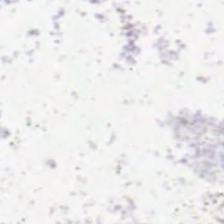H&E-stained tissue section. Empty background.
